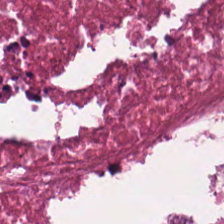Hematoxylin and eosin — Tissue: debris.
